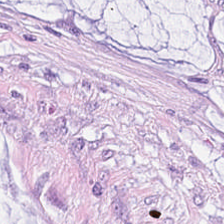224×224 px tile; formalin-fixed paraffin-embedded section; H&E stain — This patch shows extracellular mucin.
